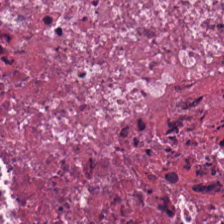Hematoxylin and eosin — Tissue class: necrotic debris.
